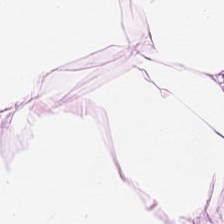Stain: hematoxylin-and-eosin stained section.
Predominant tissue: adipose.
